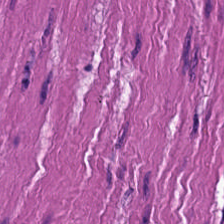Histology — smooth muscle.
